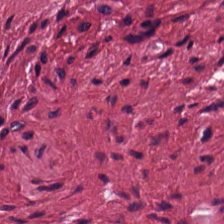H&E-stained tissue section. Tissue — tumor-associated stroma.
